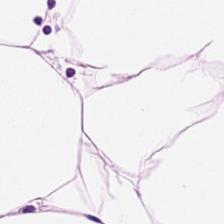Hematoxylin-and-eosin stained section. Adipocytes.
